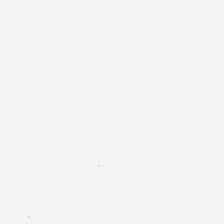Stain: hematoxylin and eosin.
Field content: background.
